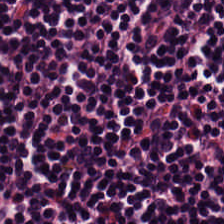224×224 px patch · H&E stain — The predominant tissue is lymphocytic infiltrate.
